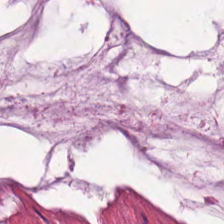H&E. The tissue here is mucus.
